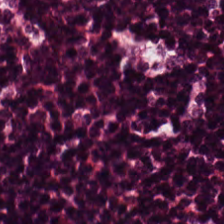H&E-stained tissue section — Showing lymphocytic infiltrate.
